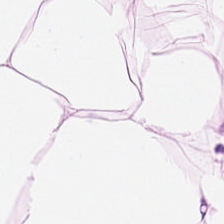Hematoxylin and eosin — Classification — adipose tissue.
